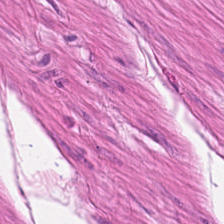Formalin-fixed paraffin-embedded section. Whole-slide-image patch. H&E-stained tissue section — Tissue type: smooth-muscle tissue.
